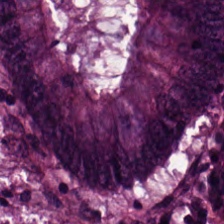Stain: hematoxylin and eosin.
Acquisition: brightfield.
Tissue: adenocarcinoma.
